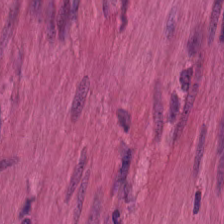H&E stain — Tissue: smooth muscle.
